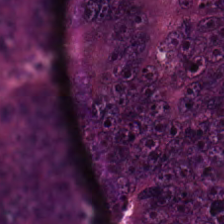H&E stain — Finding — malignant epithelium.
